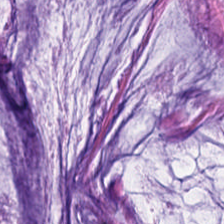H&E. The tissue type is mucin.
